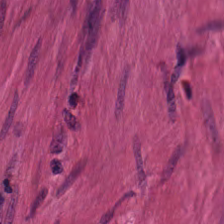Predominantly smooth-muscle tissue.
